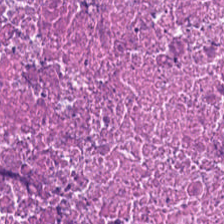Finding → cellular debris.
